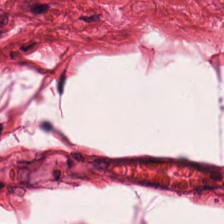Hematoxylin and eosin · 20× equivalent magnification.
This patch shows smooth muscle.
